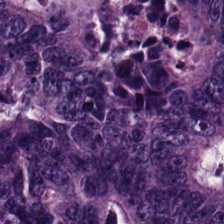H&E stain — The tissue here is colorectal adenocarcinoma.
